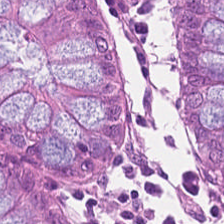H&E-stained tissue section · 20× equivalent magnification · FFPE tissue section.
Q: What is shown in this field?
A: This is normal colonic mucosa.
